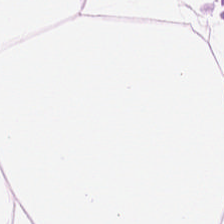H&E-stained tissue section · 20× equivalent magnification — Classification — adipose.
